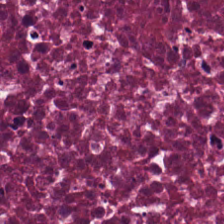H&E; 0.5 µm per pixel.
{"tissue_type": "cellular debris"}
